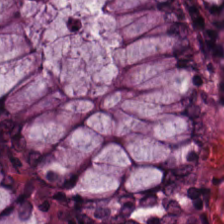224×224 pixel tile; hematoxylin-and-eosin stained section. Classification — normal colon mucosa.
